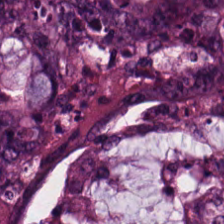0.5 µm per pixel; H&E stain. {"tissue_type": "malignant epithelium"}
